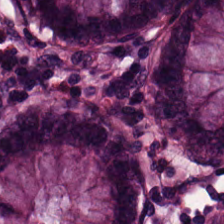The tissue here is non-neoplastic colon mucosa.
